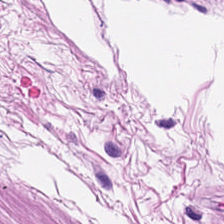Hematoxylin and eosin. FFPE. 20× equivalent magnification. The predominant tissue is smooth muscle.
